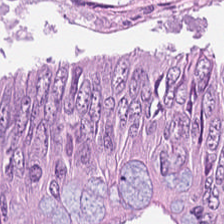Hematoxylin and eosin; 20× equivalent magnification.
Finding → colorectal adenocarcinoma.
